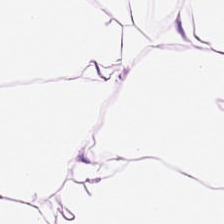H&E stain. Showing adipose.
